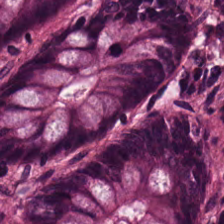Tissue type: benign colonic mucosa.
